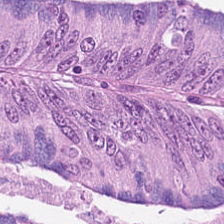Hematoxylin and eosin — {"tissue_type": "colorectal adenocarcinoma epithelium"}
